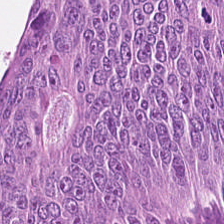Stain: H&E.
Classification: malignant epithelium.
